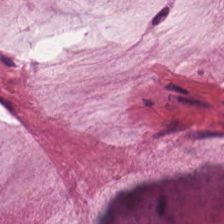Predominant tissue: extracellular mucin.
